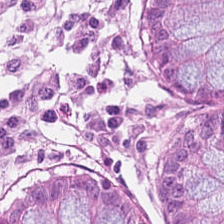H&E-stained tissue section — {"tissue_type": "normal colon mucosa"}
